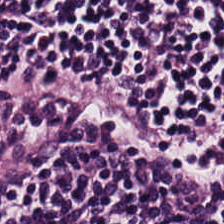{"tissue_type": "lymphocytes"}
